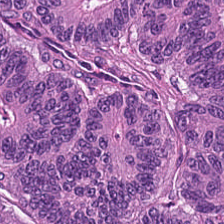Hematoxylin and eosin · 224×224 px tile.
Tissue type — malignant epithelium.
